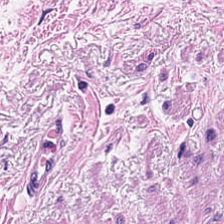224×224 px patch. H&E-stained tissue section.
The classification is smooth-muscle tissue.
